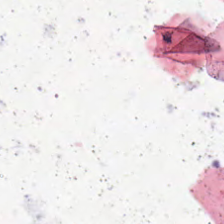H&E. No tissue present; background only.
